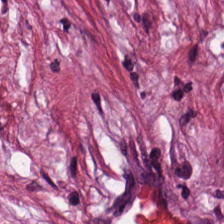H&E-stained tissue section.
Tissue type — desmoplastic stroma.
